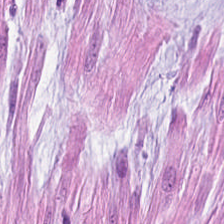H&E-stained tissue section showing mucus.
